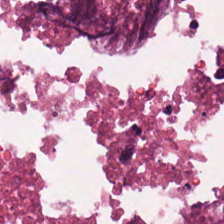H&E-stained tissue section. Classification = cellular debris.
